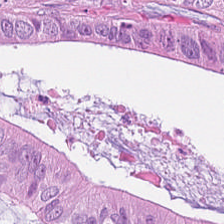Stain: H&E.
Tile size: 224×224 px patch.
Tissue class: adenocarcinoma.
